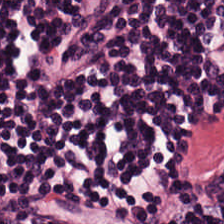Q: Classify this patch.
A: This is lymphoid infiltrate.
